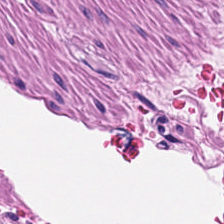Formalin-fixed paraffin-embedded section. H&E-stained tissue section. The predominant tissue is muscularis.
